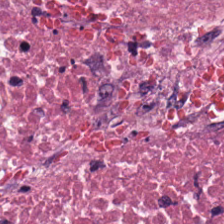{"tissue_type": "debris"}
